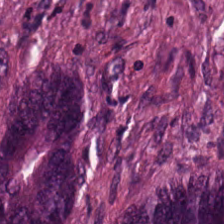Brightfield microscopy; H&E stain.
Q: What is shown here?
A: Colorectal adenocarcinoma.
